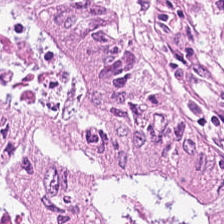Predominantly adenocarcinoma.
